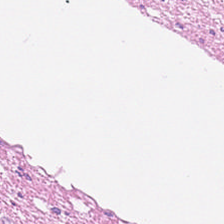This patch shows smooth muscle.
